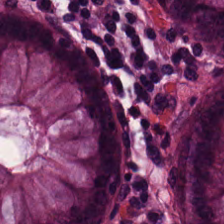Q: What tissue type is shown here?
A: This is normal colonic mucosa.
